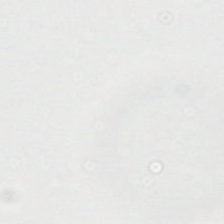Stain: hematoxylin and eosin.
Content: no tissue.
